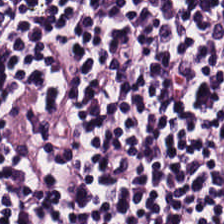Tissue type = lymphocyte aggregate.
